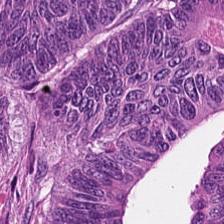H&E — tumor epithelium.
